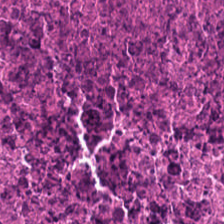Hematoxylin and eosin. Q: What does this patch show?
A: It is debris.
